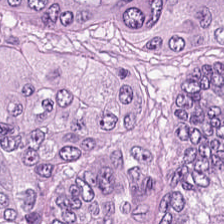H&E stain. This patch shows colorectal adenocarcinoma epithelium.
